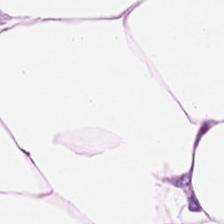Stain: hematoxylin and eosin.
Tissue class: adipocytes.
